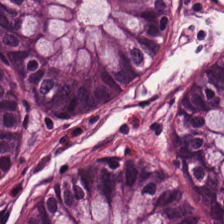Hematoxylin and eosin — The tissue is normal colon mucosa.
